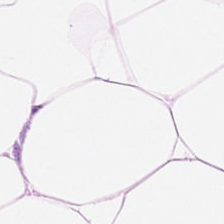H&E.
{"tissue_type": "adipose tissue"}
